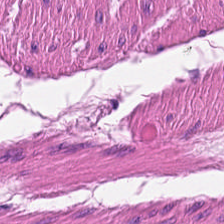Stain: H&E-stained tissue section.
Acquisition: brightfield microscopy.
Classification: muscularis.
